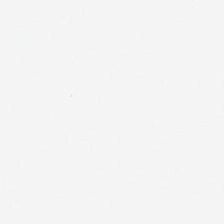The content is background (no tissue).
